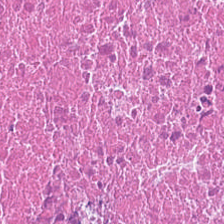Hematoxylin-and-eosin stained section. {"tissue_type": "cellular debris"}
